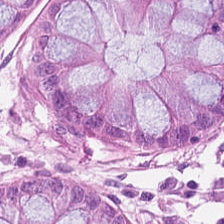H&E-stained tissue section — Predominantly normal colonic mucosa.
